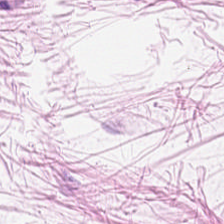H&E stain; 0.5 µm/px; WSI patch.
Predominant tissue — adipose tissue.
